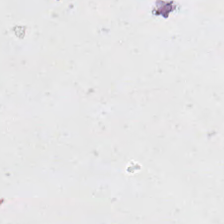H&E-stained tissue section.
Q: What does this patch show?
A: This is background (no tissue).
